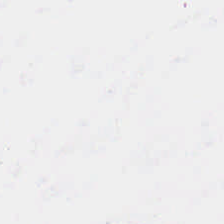Hematoxylin-and-eosin stained section — Q: What is shown in this field?
A: This is background.
